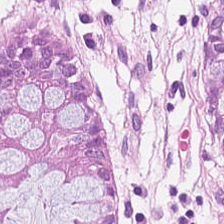H&E patch showing benign colonic mucosa.
